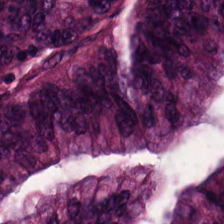Stain: H&E stain.
Classification: colorectal adenocarcinoma epithelium.
